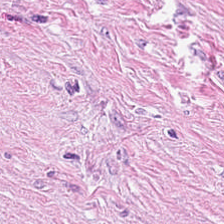Hematoxylin and eosin. Predominantly cancer-associated stroma.
